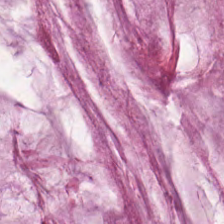H&E · whole-slide-image patch. The predominant tissue is extracellular mucin.
